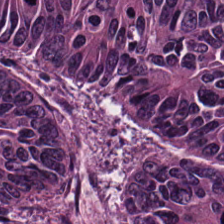Whole-slide-image patch; hematoxylin and eosin; FFPE.
Predominant tissue: colorectal adenocarcinoma epithelium.
